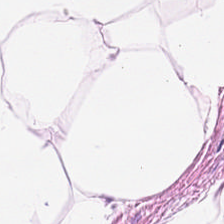Hematoxylin-and-eosin stained section.
This patch shows adipose tissue.
